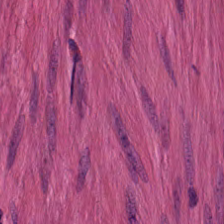Hematoxylin-and-eosin stained section — Q: What is shown in this field?
A: This is muscularis.
